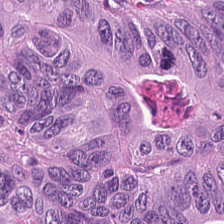H&E-stained tissue section. WSI patch. 224×224 pixel tile.
Predominantly colorectal adenocarcinoma epithelium.
